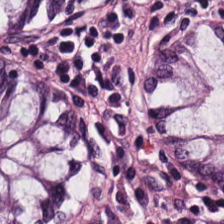Q: Identify the tissue.
A: Benign colonic mucosa.
